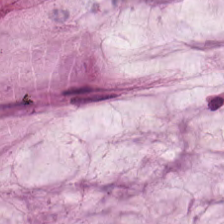H&E — Tissue type — mucin.
